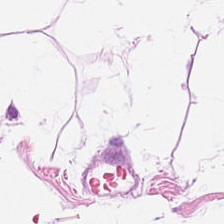H&E — Predominant tissue — fat tissue.
